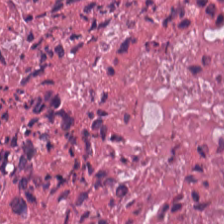H&E stain — Q: What tissue is shown?
A: It is cellular debris.
